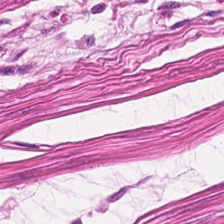Stain: H&E stain.
Predominant tissue: smooth-muscle tissue.
